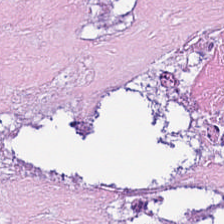H&E stain.
This field is debris.
